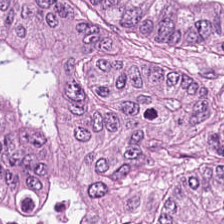The classification is adenocarcinoma.
